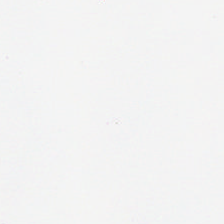Content = empty background.
